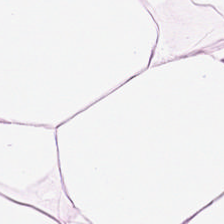H&E stain — Showing adipose tissue.
